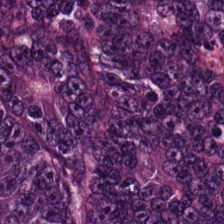Hematoxylin-and-eosin stained section. This patch shows malignant epithelium.
